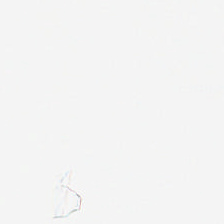The field content is background (no tissue).
